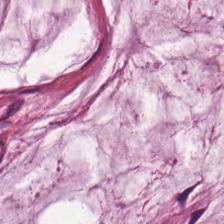FFPE tissue section; brightfield microscopy; hematoxylin and eosin. Tissue: extracellular mucin.
